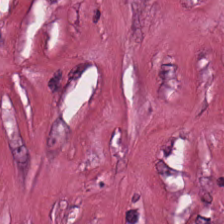224×224 px patch · H&E. Predominantly desmoplastic stroma.
